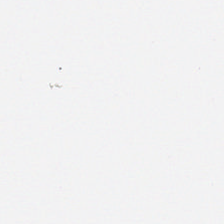Hematoxylin and eosin; 224×224 pixel tile; FFPE tissue section.
Field content: empty background.
